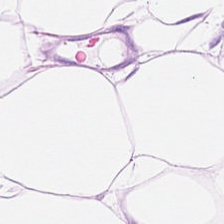WSI patch · H&E stain. {"tissue_type": "adipocytes"}
